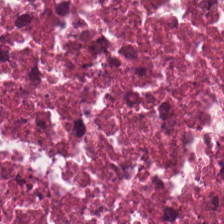H&E-stained tissue section. Tissue = cellular debris.
